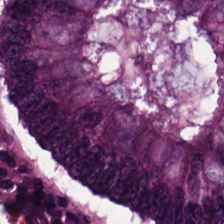H&E stain.
The predominant tissue is malignant epithelium.
